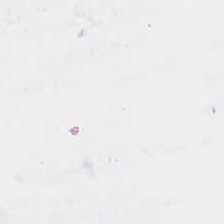224×224 pixel tile; brightfield; hematoxylin-and-eosin stained section.
Background.
